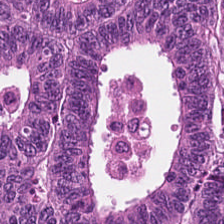Q: What type of tissue is this?
A: The field shows tumor epithelium.
